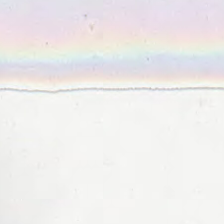H&E stain; FFPE tissue section; 224×224 pixel tile. Q: What is shown here?
A: It is background (no tissue).
